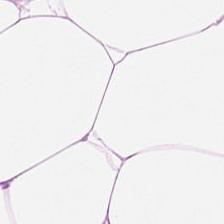Hematoxylin and eosin. Predominantly adipose.
